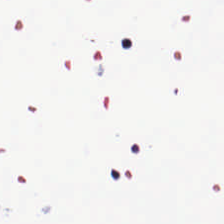Hematoxylin and eosin — Q: What is shown here?
A: This is background (no tissue).
